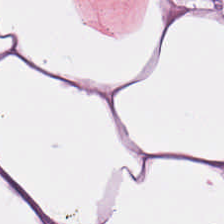Stain: H&E-stained tissue section.
Tile size: 224×224 pixel tile.
Predominant tissue: adipose tissue.
